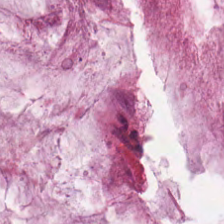Stain: hematoxylin and eosin.
Tissue: extracellular mucin.
